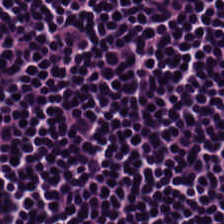Q: What type of tissue is this?
A: Lymphocytes.
